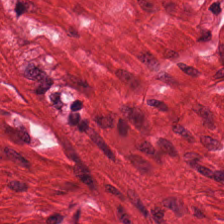Finding — smooth muscle.
